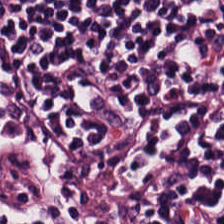H&E-stained tissue section — Lymphoid infiltrate.
